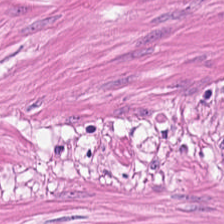Stain: H&E stain.
Tissue type: muscularis.
